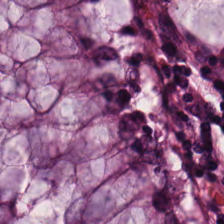0.5 microns per pixel · H&E-stained tissue section — Tissue type: benign colonic mucosa.
